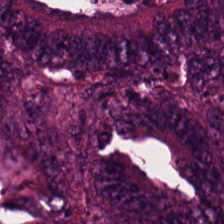H&E — tumor epithelium.
